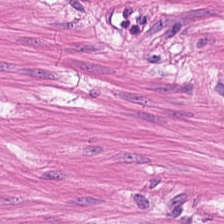Stain: H&E stain.
Tile size: 224×224 px tile.
Resolution: 20× equivalent magnification.
Tissue type: smooth muscle.
